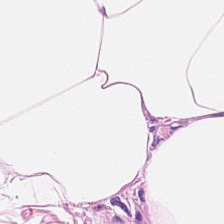Hematoxylin and eosin · 20× equivalent magnification. This patch shows adipose.
